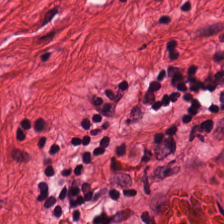Stain: hematoxylin-and-eosin stained section.
Tissue class: muscularis.
